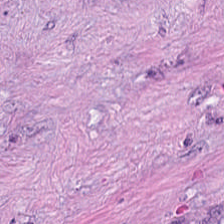H&E.
Classification = tumor stroma.
